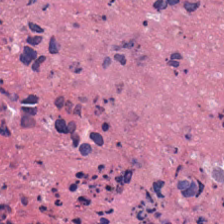Hematoxylin-and-eosin stained section — Tissue type — cellular debris.
